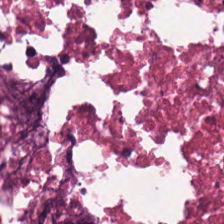Hematoxylin-and-eosin stained section.
This field is debris.
